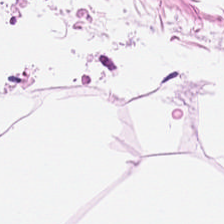Stain: H&E-stained tissue section.
Acquisition: brightfield.
Resolution: 20× equivalent magnification.
Tissue type: adipose.
